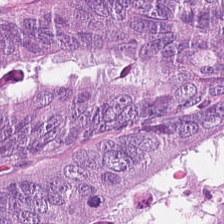The tissue is colorectal adenocarcinoma.
